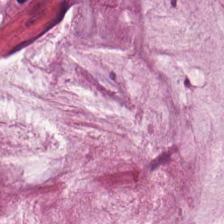Hematoxylin-and-eosin stained section; 224×224 px tile.
The tissue is mucus.
